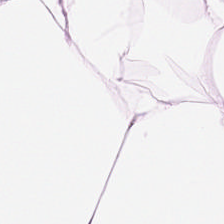H&E-stained tissue section showing adipocytes.
